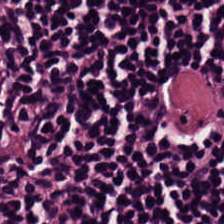Q: What is shown here?
A: The field shows lymphoid infiltrate.
